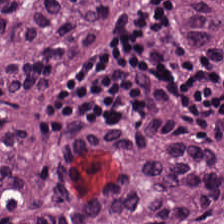Formalin-fixed paraffin-embedded section · 224×224 px patch · hematoxylin-and-eosin stained section.
Malignant epithelium.
